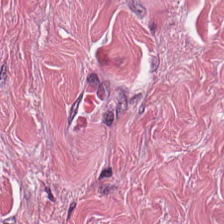20× equivalent magnification · WSI patch · hematoxylin and eosin. {"tissue_type": "tumor-associated stroma"}
